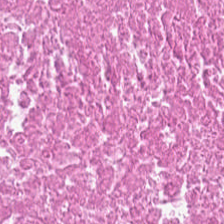Hematoxylin and eosin; 224×224 px patch.
The tissue here is necrotic debris.
